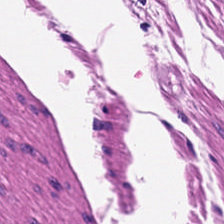H&E.
Smooth muscle.
